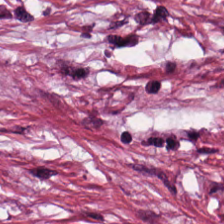0.5 µm per pixel; brightfield; H&E.
Predominantly cancer-associated stroma.
